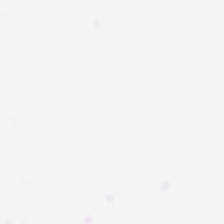H&E stain. Finding — background (no tissue).
